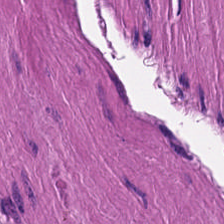Formalin-fixed paraffin-embedded section · H&E.
This field is smooth muscle.
